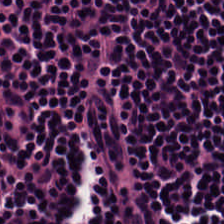Stain: hematoxylin and eosin.
Tile size: 224×224 pixel tile.
Tissue type: lymphocytic infiltrate.
